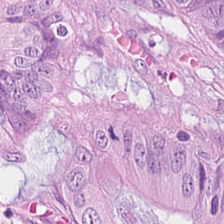Brightfield; H&E — Q: Identify the tissue.
A: Tumor epithelium.
